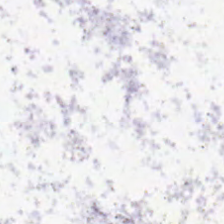Stain: H&E stain.
Resolution: 20× equivalent magnification.
Content: no tissue.
